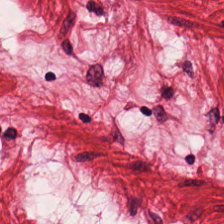Brightfield · hematoxylin and eosin. Tissue type — smooth-muscle tissue.
